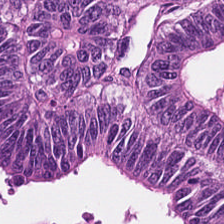H&E stain · 224×224 pixel tile. Tissue: tumor epithelium.
